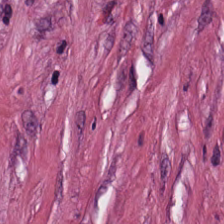224×224 pixel tile · hematoxylin-and-eosin stained section · brightfield microscopy.
Q: What type of tissue is this?
A: Tumor stroma.
